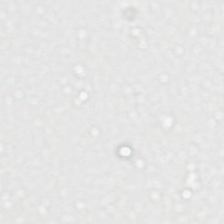Hematoxylin-and-eosin stained section.
Impression → no tissue.
